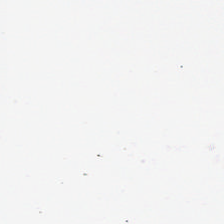Hematoxylin-and-eosin stained section.
Empty field — background (no tissue).
